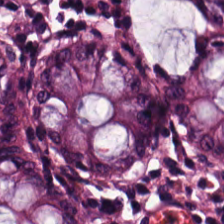Tissue class — normal colonic mucosa.
